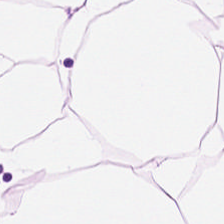Hematoxylin-and-eosin stained section — Predominant tissue — adipocytes.
